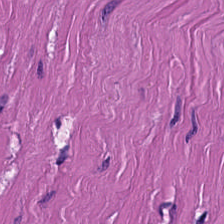H&E stain. Whole-slide-image patch. Q: What is shown here?
A: The field shows muscularis.
